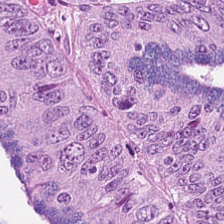Showing malignant epithelium.
